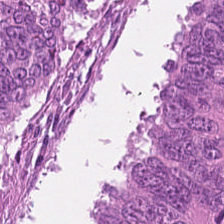224×224 px tile; FFPE tissue section; H&E-stained tissue section.
{"tissue_type": "malignant epithelium"}
